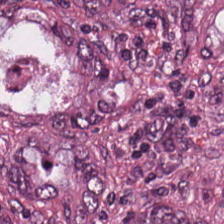Hematoxylin-and-eosin stained section.
Q: What is the predominant tissue type?
A: Tumor epithelium.
